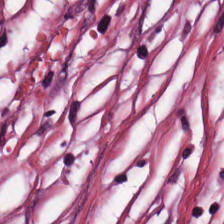H&E. The predominant tissue is tumor stroma.
